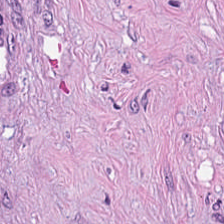H&E. 224×224 px patch.
Tumor-associated stroma.
